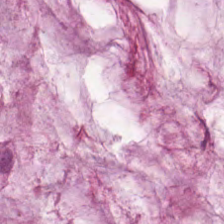Whole-slide-image patch; hematoxylin-and-eosin stained section.
Classification: mucin.
